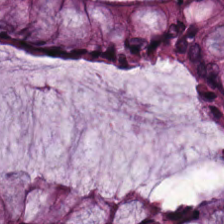H&E — The predominant tissue is normal colonic mucosa.
